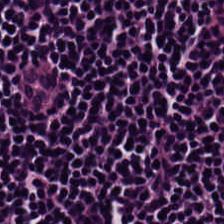H&E patch showing lymphocytes.
